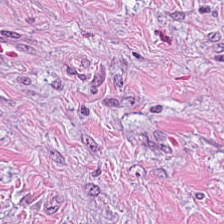Hematoxylin-and-eosin stained section. Q: What tissue type is shown here?
A: The field shows tumor-associated stroma.
